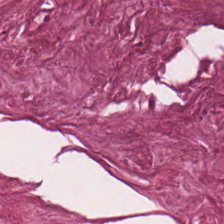Stain: hematoxylin-and-eosin stained section.
Predominant tissue: tumor stroma.
